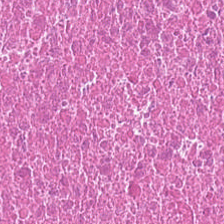224×224 px tile · H&E stain.
The tissue here is debris.
